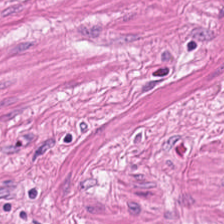Hematoxylin and eosin. 20× equivalent magnification. FFPE. The predominant tissue is smooth muscle.
